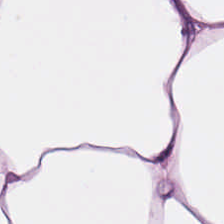Hematoxylin and eosin. 0.5 microns per pixel. Predominant tissue — adipose.
